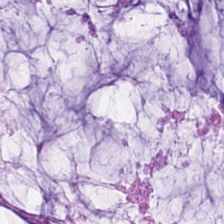224×224 px patch · H&E.
Tissue type = mucus.
